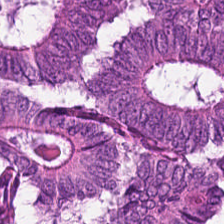0.5 microns per pixel. H&E. FFPE — Tumor epithelium.
